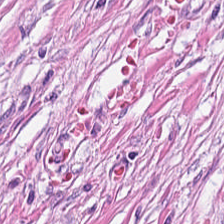The tissue class is tumor-associated stroma.
